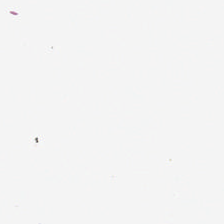Histology — background.
